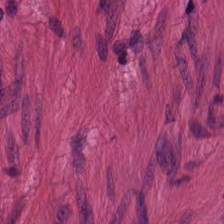Hematoxylin-and-eosin stained section.
Q: What tissue is shown?
A: It is muscularis.
